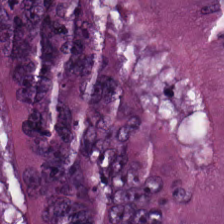Q: What is shown here?
A: Malignant epithelium.
